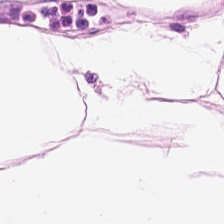H&E · 224×224 pixel tile — The predominant tissue is adipose tissue.
